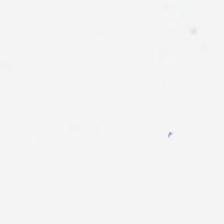Stain: hematoxylin and eosin.
Content: no tissue.
